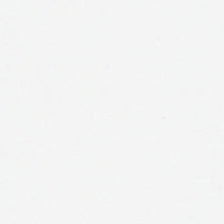Hematoxylin and eosin — Q: What does this patch show?
A: It is background (no tissue).
